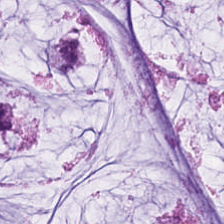20× equivalent magnification; 224×224 px tile; hematoxylin-and-eosin stained section.
This patch shows extracellular mucin.
